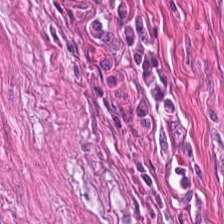This field is smooth-muscle tissue.
